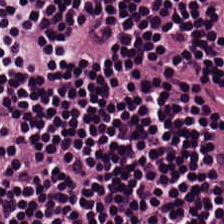H&E-stained tissue section — Predominant tissue = lymphocytic infiltrate.
